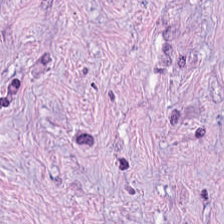H&E-stained tissue section. Histology — cancer-associated stroma.
